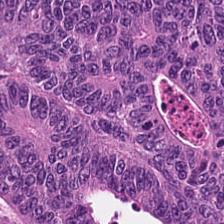Predominant tissue = colorectal adenocarcinoma epithelium.
